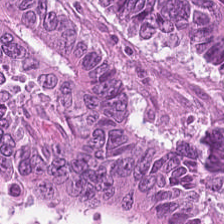H&E stain. 224×224 px patch. FFPE tissue section — {"tissue_type": "colorectal adenocarcinoma epithelium"}
